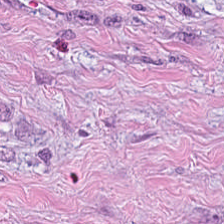Brightfield. H&E — The classification is desmoplastic stroma.
